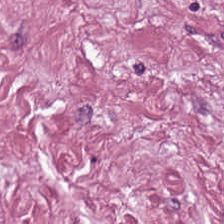Histology — cancer-associated stroma.
